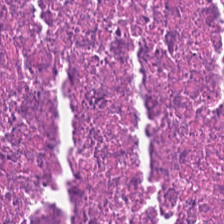H&E — The tissue type is cellular debris.
